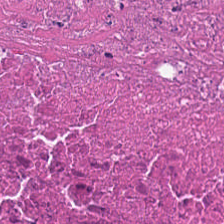Stain: H&E stain.
Acquisition: brightfield.
Preparation: FFPE tissue section.
Predominant tissue: necrotic debris.
